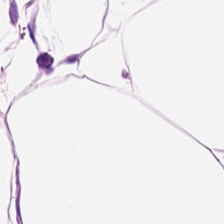{"tissue_type": "fat tissue"}
